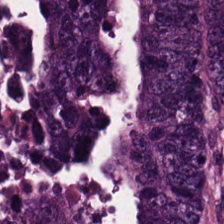Hematoxylin and eosin; FFPE; 224×224 px tile — The tissue is adenocarcinoma.
